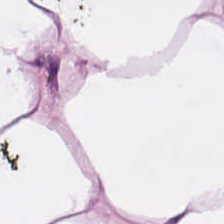Hematoxylin-and-eosin stained section.
Predominantly fat tissue.
